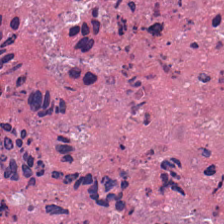H&E stain. The tissue here is cellular debris.
